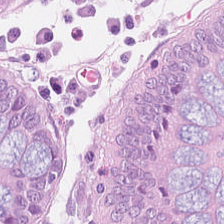Stain: H&E stain.
Tile size: 224×224 pixel tile.
Acquisition: brightfield microscopy.
Tissue class: non-neoplastic colon mucosa.
